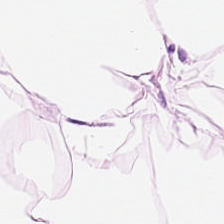H&E. 224×224 px patch.
Predominantly adipose tissue.
